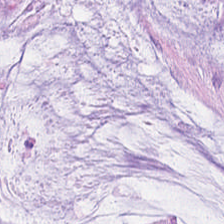H&E-stained section; the field shows extracellular mucin.
